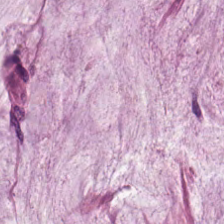Hematoxylin and eosin — Q: What tissue is shown?
A: The field shows mucin.
